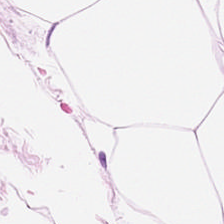H&E stain — This patch shows fat tissue.
